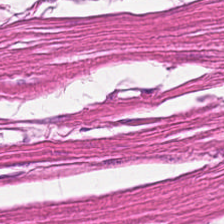Stain: hematoxylin and eosin.
Tissue: smooth muscle.
